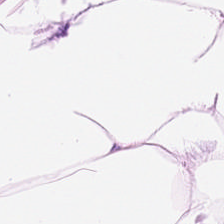Q: What does this patch show?
A: The field shows adipose tissue.
